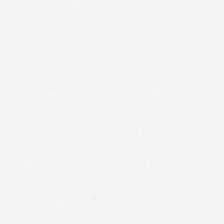0.5 microns per pixel; brightfield; H&E-stained tissue section.
This field is background (no tissue).
